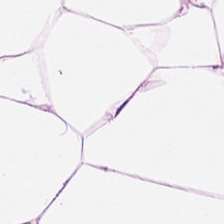Hematoxylin-and-eosin stained section · FFPE tissue section — Predominant tissue — fat tissue.
